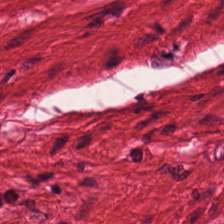Formalin-fixed paraffin-embedded section · H&E. Smooth muscle.
